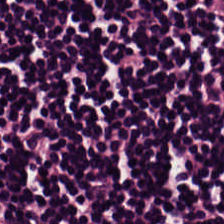This field is lymphocytes.
